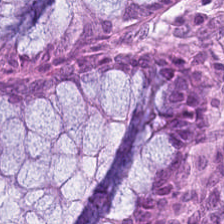Hematoxylin-and-eosin stained section. WSI patch. 0.5 microns per pixel.
The predominant tissue is benign colonic mucosa.
